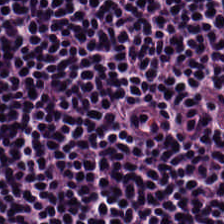Hematoxylin and eosin · whole-slide-image patch. This field is lymphocytic infiltrate.
